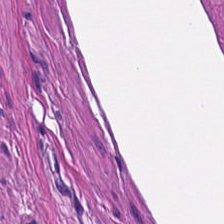Hematoxylin-and-eosin stained section — The tissue is muscularis.
